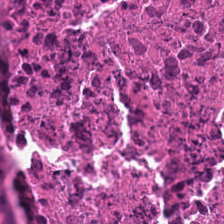224×224 px patch. H&E.
Necrotic debris.
